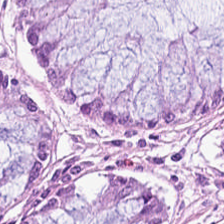H&E.
The tissue class is normal colonic mucosa.
